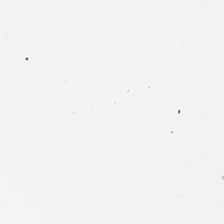224×224 px patch · H&E-stained tissue section · 0.5 µm per pixel — Empty field — background (no tissue).
